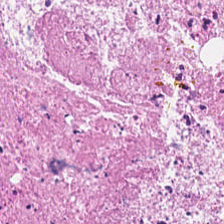0.5 µm/px · H&E stain. The predominant tissue is debris.
